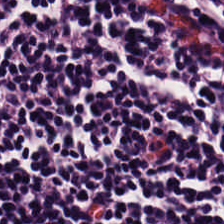Hematoxylin and eosin. Q: Identify the tissue.
A: The field shows lymphocyte aggregate.
